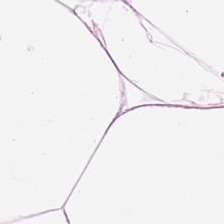{"tissue_type": "adipocytes"}
